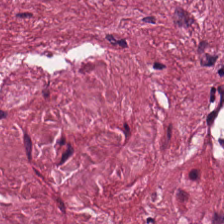H&E-stained tissue section; FFPE tissue section.
Classification — desmoplastic stroma.
